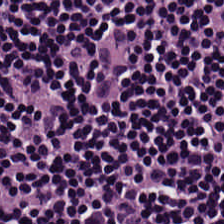H&E. {"tissue_type": "lymphocyte aggregate"}
